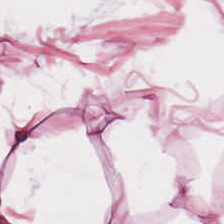Formalin-fixed paraffin-embedded section · H&E-stained tissue section · 0.5 microns per pixel.
Q: What is shown in this field?
A: The field shows adipose tissue.
